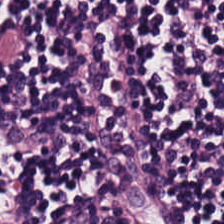Hematoxylin and eosin · FFPE. Q: What type of tissue is this?
A: This is lymphocytes.
